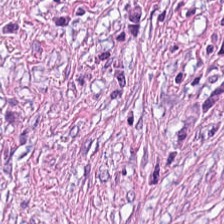H&E stain. This patch shows tumor-associated stroma.
